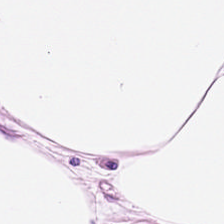This field is adipose.
